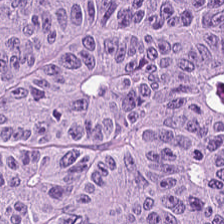Hematoxylin-and-eosin section: colorectal adenocarcinoma epithelium.
